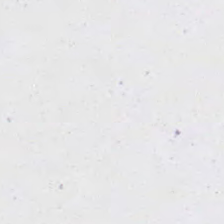H&E — Background — no tissue in this field.
